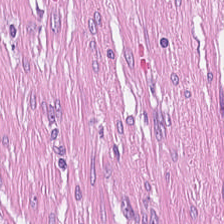Hematoxylin-and-eosin stained section. Brightfield microscopy. Formalin-fixed paraffin-embedded section.
Histology — tumor stroma.
